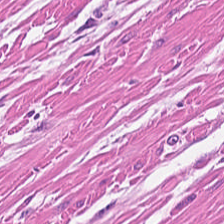0.5 µm/px; H&E stain — The predominant tissue is muscularis.
